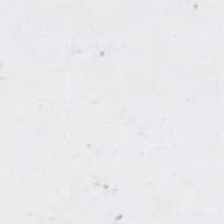H&E stain.
Classification: background (no tissue).
